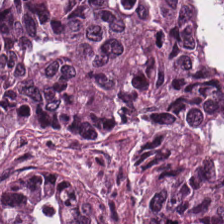H&E stain.
Impression — colorectal adenocarcinoma.
